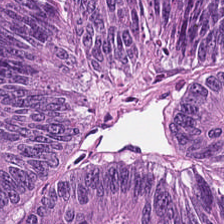0.5 µm per pixel · brightfield microscopy · hematoxylin and eosin.
Q: What is shown in this field?
A: Malignant epithelium.
